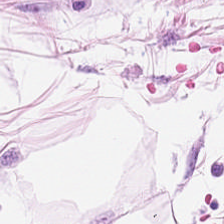Hematoxylin and eosin.
Q: What tissue is shown?
A: Adipose tissue.
